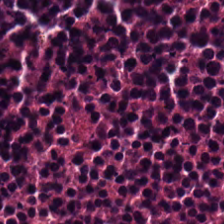Hematoxylin-and-eosin stained section — {"tissue_type": "cellular debris"}
